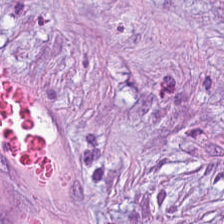Histology — desmoplastic stroma.
